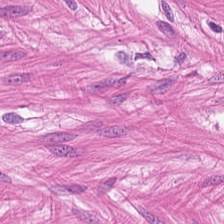H&E.
The predominant tissue is smooth muscle.
